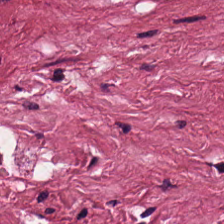Stain: H&E-stained tissue section.
Tile size: 224×224 px patch.
Preparation: FFPE tissue section.
Classification: desmoplastic stroma.
